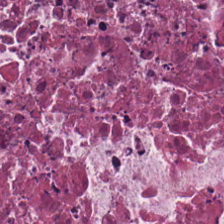H&E.
Tissue class — debris.
